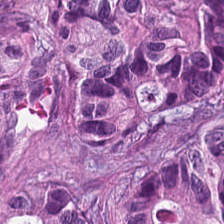224×224 px patch · formalin-fixed paraffin-embedded section · H&E stain.
Colorectal adenocarcinoma epithelium.
